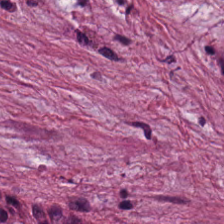Hematoxylin and eosin — This patch shows desmoplastic stroma.
